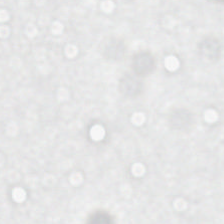H&E-stained tissue section · formalin-fixed paraffin-embedded section — Classification = background.
